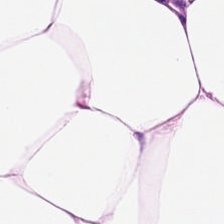0.5 µm/px. H&E. FFPE — Tissue type — fat tissue.
